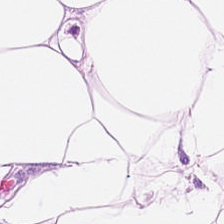Hematoxylin and eosin. WSI patch — This field is fat tissue.
